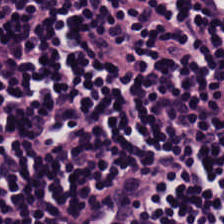Hematoxylin-and-eosin stained section.
The tissue here is lymphocyte aggregate.
